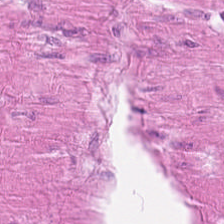H&E stain · 224×224 px tile. Finding → muscularis.
